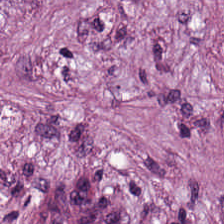224×224 px tile; hematoxylin and eosin; brightfield microscopy — Tissue class: tumor-associated stroma.
